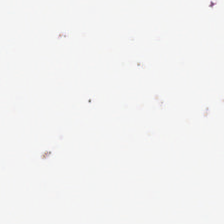This field is background (no tissue).
